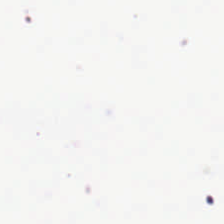Hematoxylin and eosin.
No tissue present; background only.
